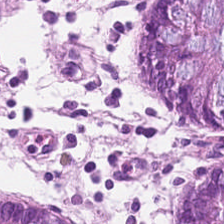H&E stain. Predominantly normal colon mucosa.
